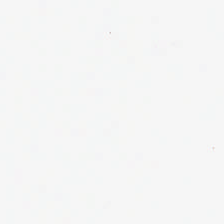Hematoxylin and eosin · 224×224 px tile.
Impression — background (no tissue).
